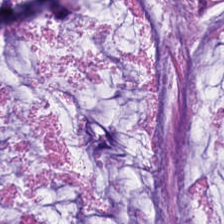20× equivalent magnification. 224×224 px tile. Hematoxylin and eosin.
Predominant tissue = mucus.
